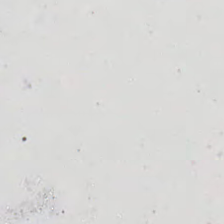Stain: H&E-stained tissue section.
Acquisition: brightfield.
Tile size: 224×224 px tile.
Field content: empty background.
